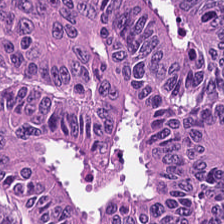H&E-stained tissue section. Whole-slide-image patch. Q: Classify this patch.
A: The field shows malignant epithelium.
